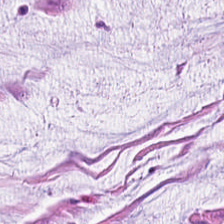Tissue: mucin.
